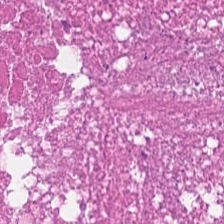Hematoxylin and eosin. 224×224 px patch.
Q: Classify this patch.
A: This is cellular debris.
